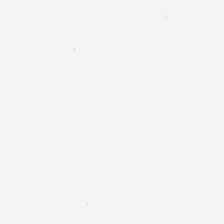Empty background.
